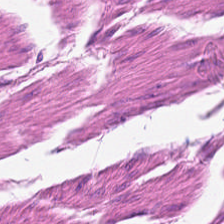Q: What is shown in this field?
A: It is smooth muscle.
